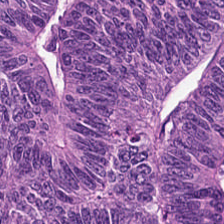H&E stain — Predominantly colorectal adenocarcinoma.
